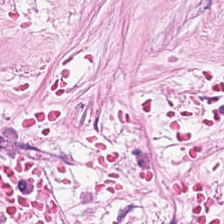Stain: hematoxylin-and-eosin stained section.
Predominant tissue: desmoplastic stroma.
